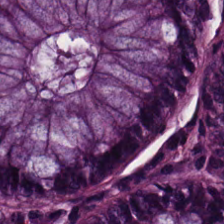H&E. 0.5 µm per pixel. {"tissue_type": "benign colonic mucosa"}
